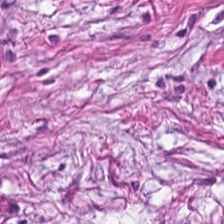Impression → tumor-associated stroma.
